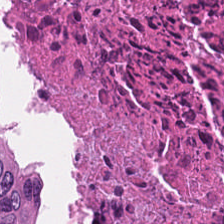H&E. 20× equivalent magnification.
Q: What is shown here?
A: Cellular debris.
